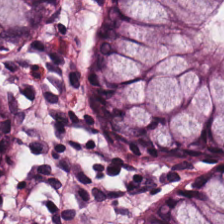Tissue class: normal colonic mucosa.
